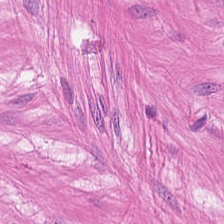H&E-stained tissue section. Histology → muscularis.
